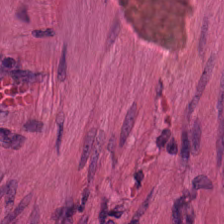Q: What tissue type is shown here?
A: This is smooth muscle.
